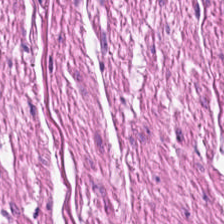Tissue: smooth muscle.
